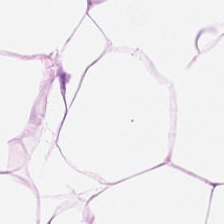Stain: hematoxylin-and-eosin stained section.
Resolution: 0.5 µm/px.
Classification: adipocytes.
